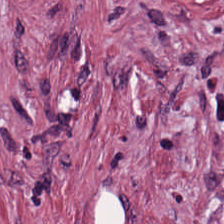H&E stain. The tissue class is tumor stroma.
